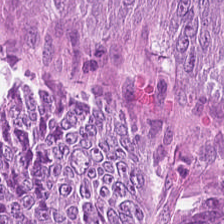Q: Identify the tissue.
A: This is tumor epithelium.
